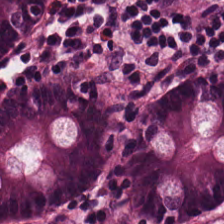Stain: H&E.
Tissue type: non-neoplastic colon mucosa.
